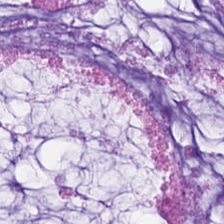H&E-stained tissue section — Q: What tissue type is shown here?
A: This is mucus.
